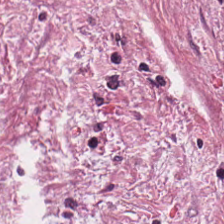Formalin-fixed paraffin-embedded section · H&E-stained tissue section.
The predominant tissue is tumor stroma.
